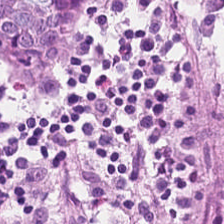224×224 pixel tile · hematoxylin and eosin — The predominant tissue is normal colonic mucosa.
